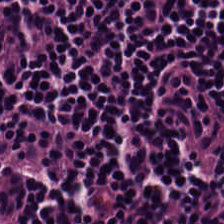Finding → lymphoid infiltrate.
